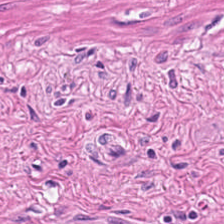This field is smooth-muscle tissue.
